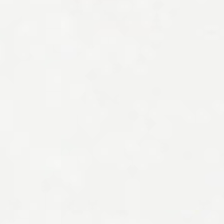Stain: hematoxylin-and-eosin stained section.
Tile size: 224×224 pixel tile.
Field content: empty background.
